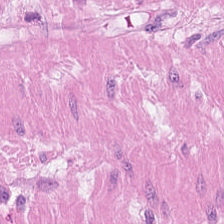H&E-stained tissue section.
Q: Identify the tissue.
A: Smooth-muscle tissue.
